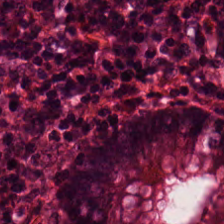Stain: hematoxylin and eosin.
Tile size: 224×224 pixel tile.
Acquisition: brightfield microscopy.
Predominant tissue: normal colonic mucosa.
